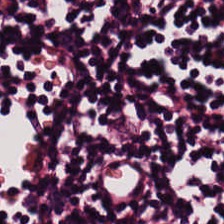H&E stain. The predominant tissue is lymphocytes.
